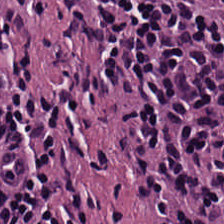H&E stain — Q: Identify the tissue.
A: The field shows lymphocyte aggregate.
